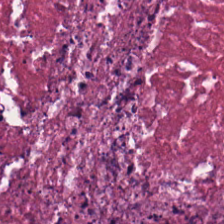H&E-stained tissue section — Tissue = debris.
